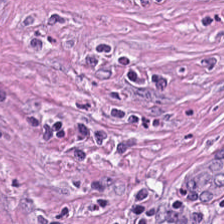H&E stain.
Classification: desmoplastic stroma.
